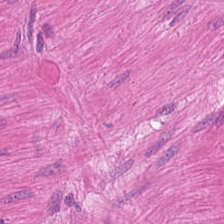Hematoxylin and eosin.
{"tissue_type": "smooth-muscle tissue"}
